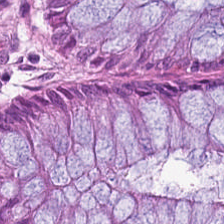H&E-stained tissue section — {"tissue_type": "non-neoplastic colon mucosa"}
